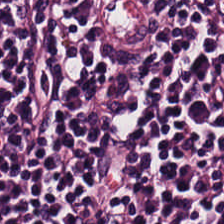H&E.
Q: What type of tissue is this?
A: The field shows lymphocytic infiltrate.
